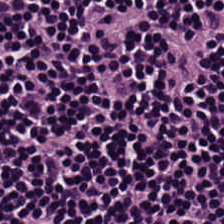Hematoxylin and eosin. Showing lymphocytic infiltrate.
